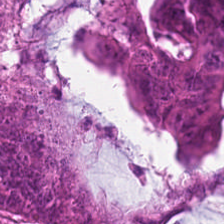H&E-stained tissue section · 224×224 px patch — Predominantly adenocarcinoma.
